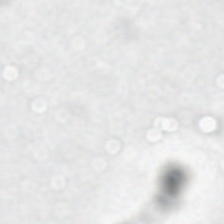This patch shows background (no tissue).
